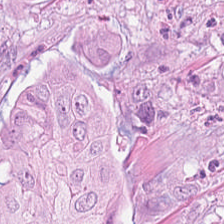H&E-stained tissue section — The classification is tumor epithelium.
